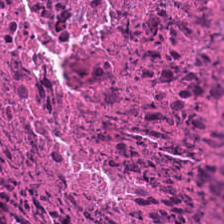Hematoxylin and eosin. Cellular debris.
